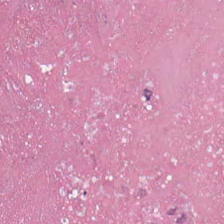This patch shows cellular debris.
